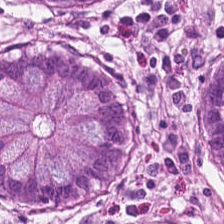Stain: H&E.
Tissue class: normal colonic mucosa.
